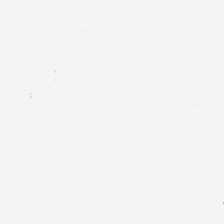Stain: hematoxylin-and-eosin stained section.
Classification: empty background.
